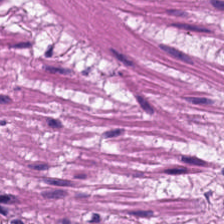FFPE tissue section. Hematoxylin-and-eosin stained section. This patch shows smooth-muscle tissue.
